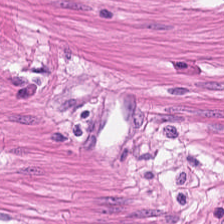H&E; 20× equivalent magnification — Predominantly smooth-muscle tissue.
